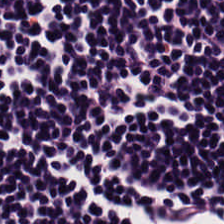0.5 microns per pixel; brightfield; hematoxylin-and-eosin stained section — Predominantly lymphocytes.
